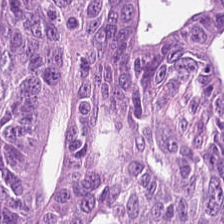H&E-stained tissue section. Formalin-fixed paraffin-embedded section.
This field is malignant epithelium.
